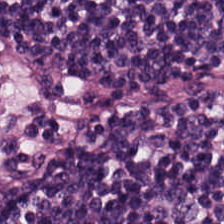H&E-stained tissue section.
The predominant tissue is lymphocyte aggregate.
